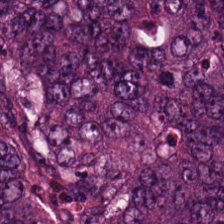0.5 µm per pixel. H&E stain. Q: What is shown in this field?
A: The field shows colorectal adenocarcinoma epithelium.
